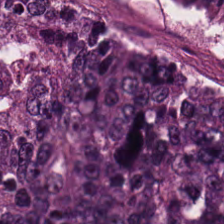Stain: H&E-stained tissue section.
Tissue class: colorectal adenocarcinoma epithelium.
